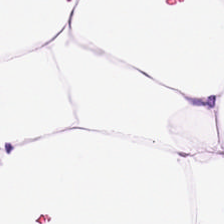{"tissue_type": "adipose tissue"}
